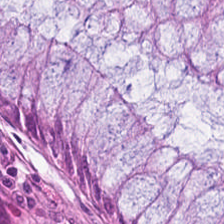H&E-stained tissue section. Q: What is the predominant tissue type?
A: Normal colon mucosa.
